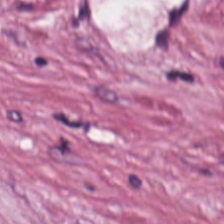H&E — Predominantly tumor stroma.
